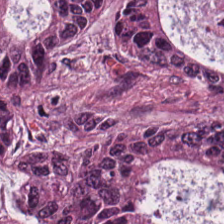224×224 pixel tile; hematoxylin-and-eosin stained section — The predominant tissue is adenocarcinoma.
